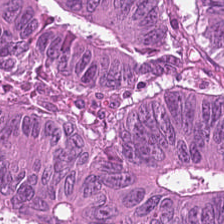H&E stain — Predominantly colorectal adenocarcinoma.
